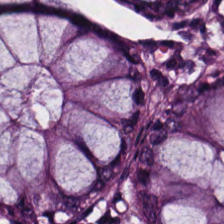224×224 px patch. Hematoxylin-and-eosin stained section. Whole-slide-image patch.
This field is normal colon mucosa.
